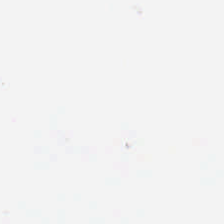Impression → background.
